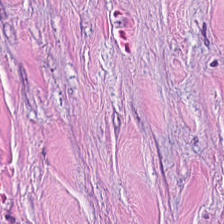The tissue class is cancer-associated stroma.
